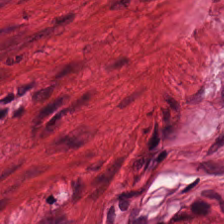Whole-slide-image patch · H&E stain — This field is smooth muscle.
